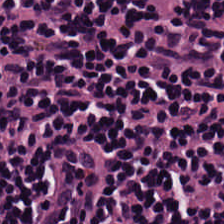Stain: H&E-stained tissue section.
Tissue: lymphocytes.
